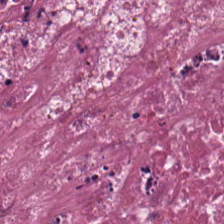0.5 µm per pixel · hematoxylin-and-eosin stained section · whole-slide-image patch. Classification: cellular debris.
